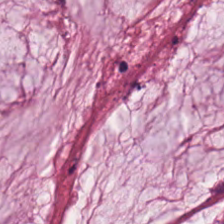Predominant tissue = extracellular mucin.
